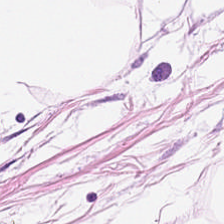Classification: fat tissue.
